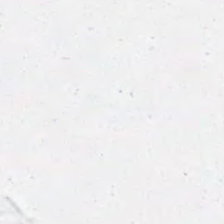H&E. Q: What does this patch show?
A: Background.
